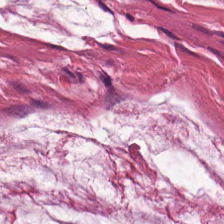Stain: hematoxylin and eosin.
Tissue class: extracellular mucin.
